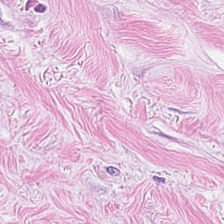Hematoxylin and eosin — Q: What is shown here?
A: The field shows cancer-associated stroma.
